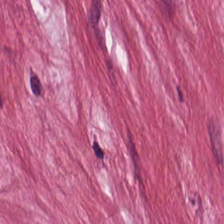Hematoxylin-and-eosin stained section; FFPE tissue section — The tissue class is desmoplastic stroma.
